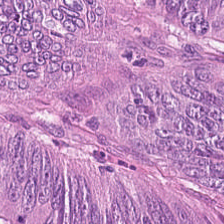The tissue here is tumor epithelium.
